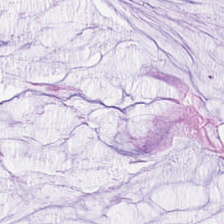Showing mucin.
